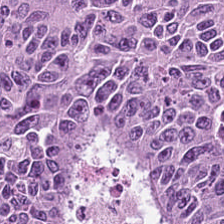Predominantly colorectal adenocarcinoma epithelium.
